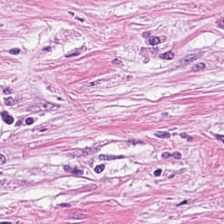0.5 microns per pixel. 224×224 px patch. Hematoxylin and eosin.
Q: What is shown in this field?
A: Desmoplastic stroma.
